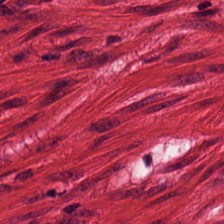WSI patch · H&E-stained tissue section — Showing smooth muscle.
